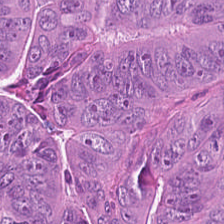0.5 µm/px · H&E-stained tissue section.
This field is tumor epithelium.
